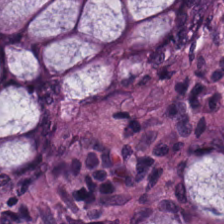H&E-stained tissue section — {"tissue_type": "normal colonic mucosa"}
